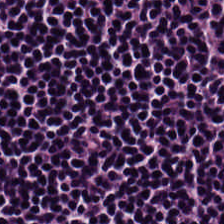224×224 pixel tile; formalin-fixed paraffin-embedded section; H&E stain. Tissue class: lymphocyte aggregate.
